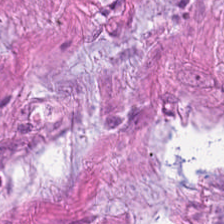H&E-stained tissue section — {"tissue_type": "smooth muscle"}
